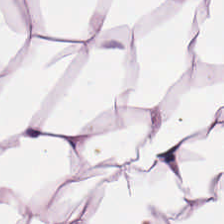0.5 microns per pixel · brightfield · hematoxylin-and-eosin stained section — Finding — adipose.
